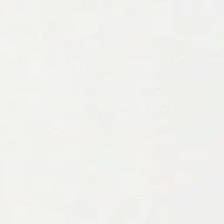0.5 µm per pixel. Hematoxylin and eosin.
Classification = background.
